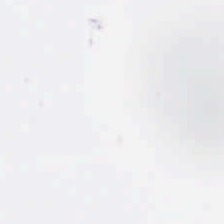224×224 px tile · FFPE · H&E — This field is background (no tissue).
